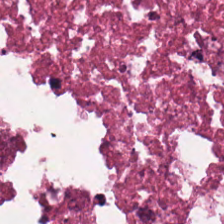Q: What does this patch show?
A: This is cellular debris.
